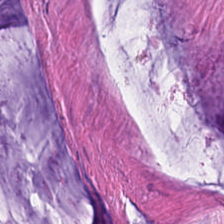H&E-stained tissue section.
The tissue class is mucus.
